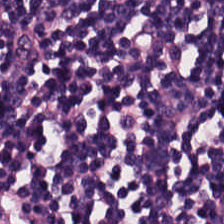Stain: hematoxylin-and-eosin stained section.
Tissue: lymphocyte aggregate.
